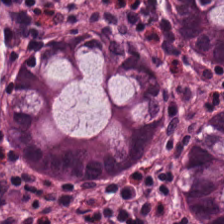224×224 px tile · H&E — The predominant tissue is normal colonic mucosa.
